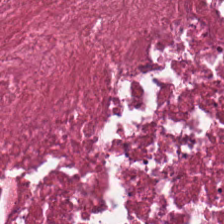Hematoxylin and eosin. Formalin-fixed paraffin-embedded section — Showing necrotic debris.
